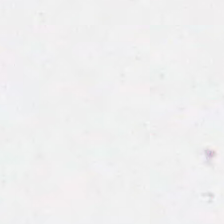H&E. Q: What is shown in this field?
A: The field shows no tissue.
